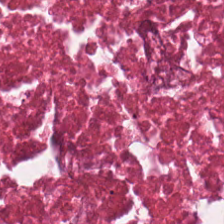0.5 µm/px · hematoxylin-and-eosin stained section · formalin-fixed paraffin-embedded section — The predominant tissue is cellular debris.
